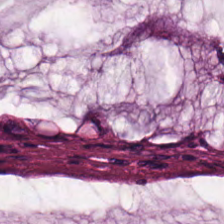0.5 µm per pixel; H&E stain. The tissue here is extracellular mucin.
